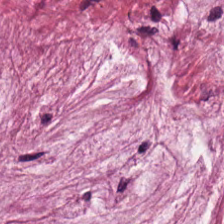H&E stain. Tissue type = mucus.
